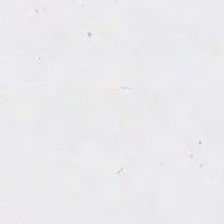Whole-slide-image patch. Formalin-fixed paraffin-embedded section. H&E-stained tissue section — No tissue present; background only.
